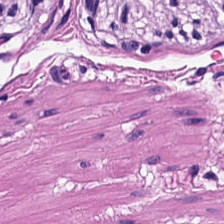Q: What type of tissue is this?
A: Smooth-muscle tissue.
